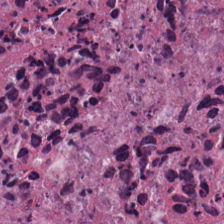Hematoxylin and eosin; FFPE tissue section — Q: What type of tissue is this?
A: The field shows necrotic debris.
